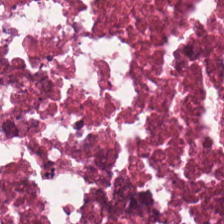H&E stain. {"tissue_type": "debris"}
